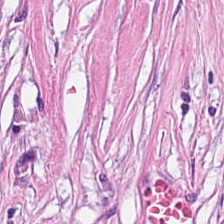FFPE · hematoxylin and eosin — This field is desmoplastic stroma.
